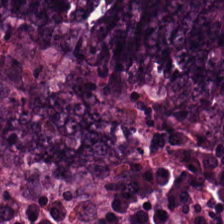Tissue — tumor epithelium.
